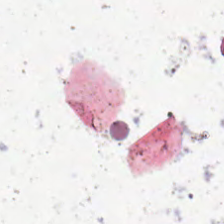Formalin-fixed paraffin-embedded section · H&E. Content — empty background.
